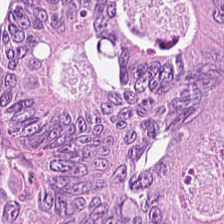Hematoxylin-and-eosin stained section.
Tissue type: malignant epithelium.
